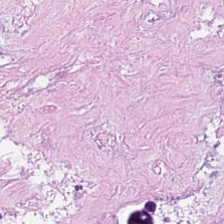H&E-stained tissue section showing necrotic debris.
